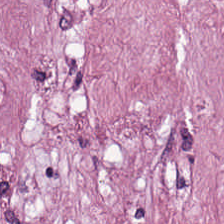Hematoxylin-and-eosin stained section. Histology → tumor stroma.
